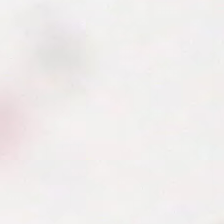Hematoxylin-and-eosin stained section. This field is background (no tissue).
